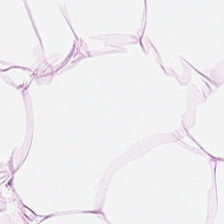Hematoxylin-and-eosin section: adipocytes.
